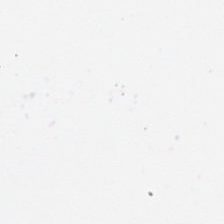H&E. Formalin-fixed paraffin-embedded section. 224×224 pixel tile. This field is background (no tissue).
